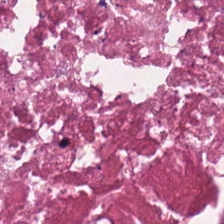Impression → necrotic debris.
